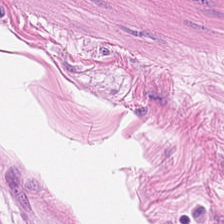H&E stain.
The predominant tissue is muscularis.
